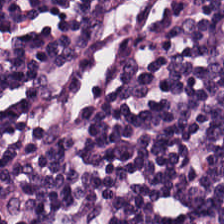WSI patch. Hematoxylin-and-eosin stained section. 0.5 µm per pixel. This patch shows lymphocytes.
